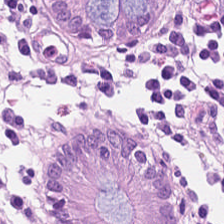This patch shows benign colonic mucosa.
